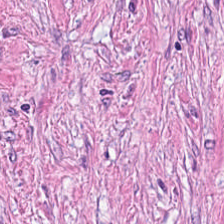Hematoxylin-and-eosin stained section. Q: Classify this patch.
A: This is cancer-associated stroma.
